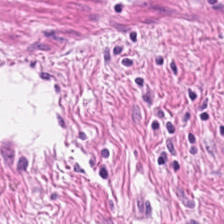Hematoxylin-and-eosin section: smooth-muscle tissue.
